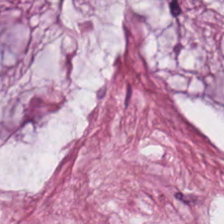224×224 px tile; hematoxylin and eosin — Classification = mucus.
